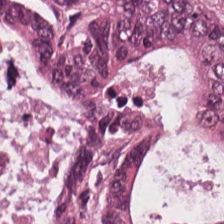H&E.
Tissue class = tumor epithelium.
